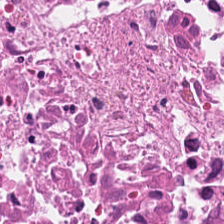Hematoxylin and eosin. Q: Identify the tissue.
A: Necrotic debris.
